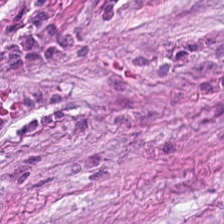H&E stain · 0.5 µm per pixel.
The tissue here is cancer-associated stroma.
